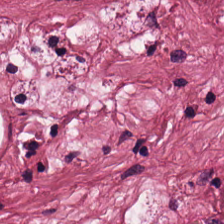224×224 px patch. H&E-stained tissue section — This patch shows cancer-associated stroma.
